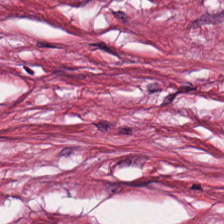224×224 px patch · hematoxylin and eosin.
Q: Classify this patch.
A: The field shows desmoplastic stroma.
